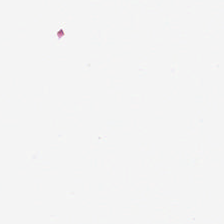H&E · formalin-fixed paraffin-embedded section.
No tissue present; background only.
